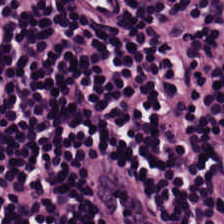H&E; formalin-fixed paraffin-embedded section.
This patch shows lymphocytes.
